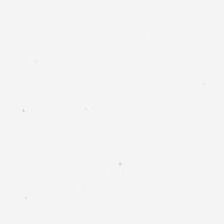H&E-stained tissue section · WSI patch.
Field content — background (no tissue).
